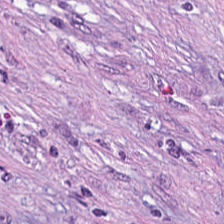This field is desmoplastic stroma.
